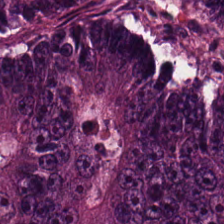224×224 pixel tile. H&E stain. Classification = colorectal adenocarcinoma epithelium.
